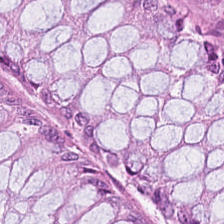H&E stain.
The predominant tissue is non-neoplastic colon mucosa.
